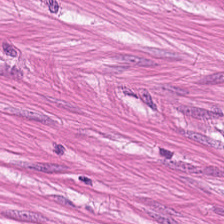FFPE tissue section · H&E-stained tissue section. The tissue here is muscularis.
